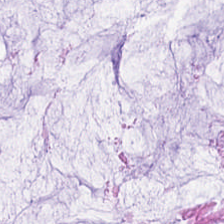H&E stain · whole-slide-image patch · 0.5 µm per pixel. Predominantly normal colonic mucosa.
